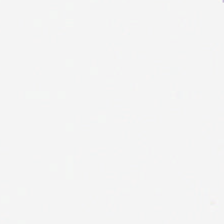H&E.
Classification: background (no tissue).
